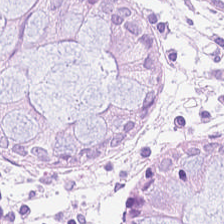H&E — normal colon mucosa.
